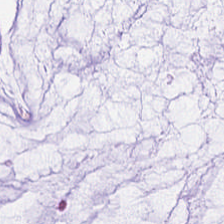0.5 µm per pixel · H&E stain · 224×224 pixel tile. Predominantly mucin.
